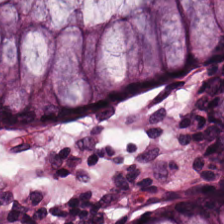Hematoxylin and eosin — Tissue type: non-neoplastic colon mucosa.
